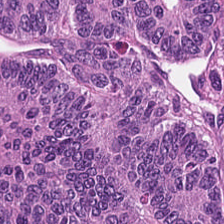Formalin-fixed paraffin-embedded section · brightfield · H&E stain.
This field is colorectal adenocarcinoma epithelium.
